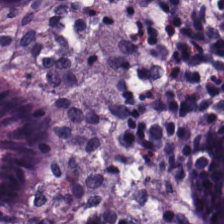H&E stain — {"tissue_type": "benign colonic mucosa"}
